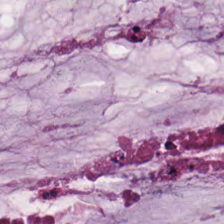H&E-stained tissue section; brightfield microscopy; 224×224 pixel tile — Q: What is the predominant tissue type?
A: Extracellular mucin.
